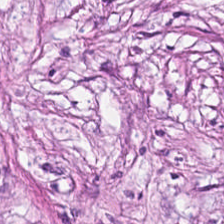Predominantly desmoplastic stroma.
